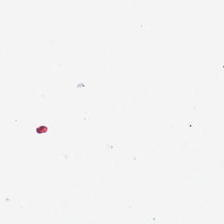H&E-stained tissue section. Q: What is shown here?
A: Background.
